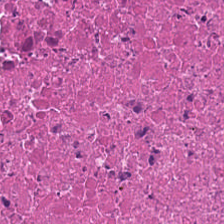Hematoxylin-and-eosin stained section — The predominant tissue is debris.
